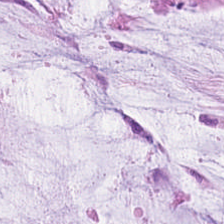Stain: H&E-stained tissue section.
Tissue: mucin.
